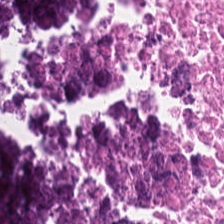H&E-stained tissue section. Predominantly necrotic debris.
